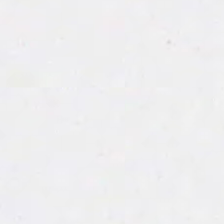Stain: hematoxylin and eosin.
Classification: background (no tissue).
